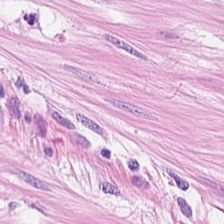H&E. 224×224 px patch — Q: What does this patch show?
A: This is muscularis.
